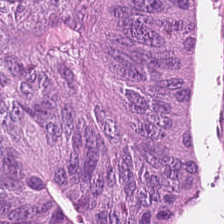Whole-slide-image patch · H&E — Impression — tumor epithelium.
